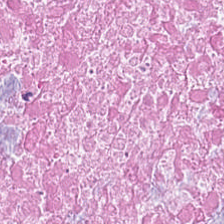Stain: H&E-stained tissue section.
Tile size: 224×224 px tile.
Tissue: necrotic debris.
